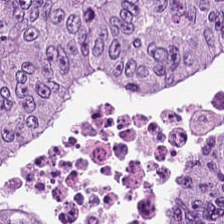0.5 µm/px; H&E-stained tissue section.
Finding — malignant epithelium.
